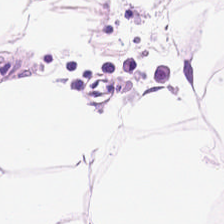Hematoxylin-and-eosin stained section; formalin-fixed paraffin-embedded section. Classification: adipocytes.
